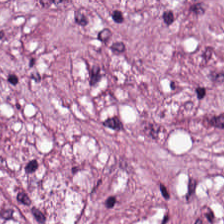Q: What tissue is shown?
A: It is cancer-associated stroma.
